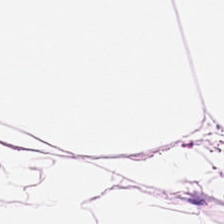Hematoxylin and eosin — Predominantly adipose.
